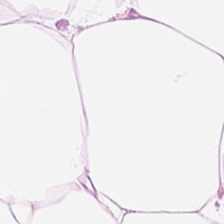Hematoxylin and eosin. WSI patch.
The predominant tissue is adipocytes.
